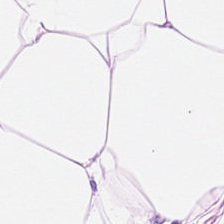Showing fat tissue.
